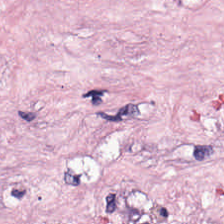Q: What is shown here?
A: This is desmoplastic stroma.
